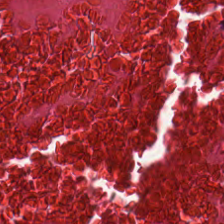224×224 px tile · H&E-stained tissue section — Q: Identify the tissue.
A: It is cellular debris.
